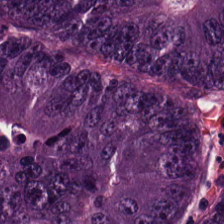H&E stain — Impression — colorectal adenocarcinoma epithelium.
